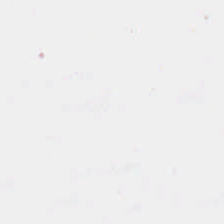H&E-stained tissue section. Background.
